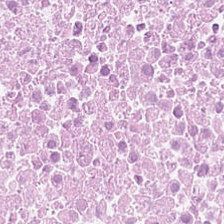WSI patch. H&E-stained tissue section — Q: What is shown in this field?
A: Necrotic debris.
